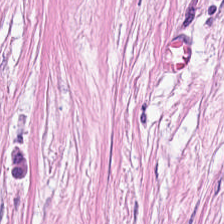Hematoxylin-and-eosin stained section — {"tissue_type": "tumor stroma"}
